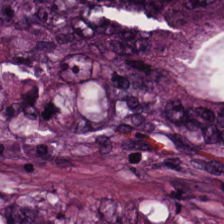Classification = malignant epithelium.
